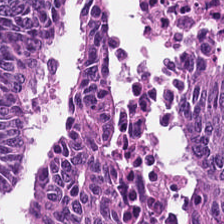Predominant tissue — colorectal adenocarcinoma epithelium.
